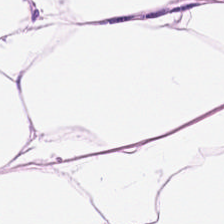FFPE tissue section · hematoxylin and eosin — The predominant tissue is adipose tissue.
